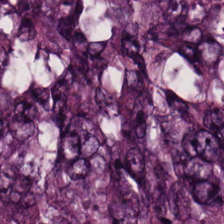Stain: H&E.
Resolution: 20× equivalent magnification.
Classification: adenocarcinoma.
